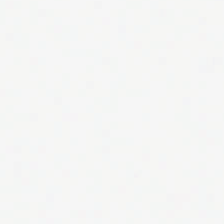Impression — background.
